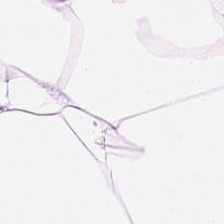H&E — Finding — adipocytes.
